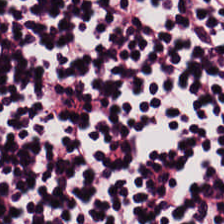H&E-stained tissue section showing lymphocyte aggregate.
